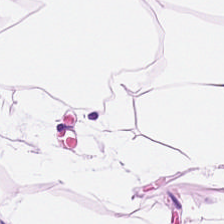H&E stain; whole-slide-image patch; 0.5 µm/px. Q: What is shown here?
A: Adipocytes.
